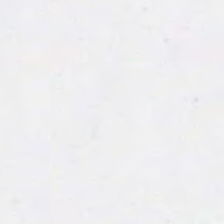FFPE tissue section; 20× equivalent magnification; hematoxylin and eosin. The content is background.
